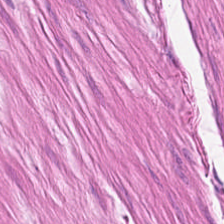224×224 pixel tile. Hematoxylin and eosin — This field is smooth-muscle tissue.
